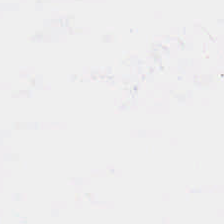H&E stain · WSI patch — {"content": "empty background"}
